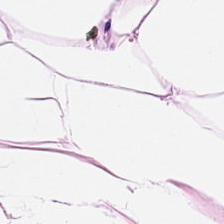Stain: hematoxylin and eosin.
Classification: fat tissue.
